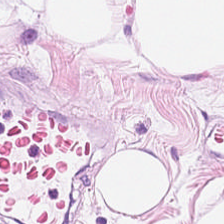Stain: H&E.
Preparation: FFPE tissue section.
Tile size: 224×224 pixel tile.
Classification: adipose.
